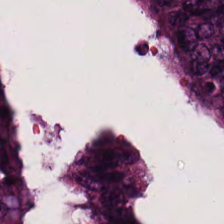Stain: hematoxylin-and-eosin stained section.
Tile size: 224×224 pixel tile.
Predominant tissue: tumor epithelium.
